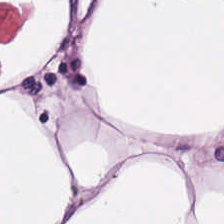Predominant tissue = adipose.
